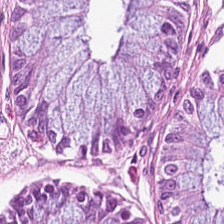0.5 microns per pixel · H&E stain. Predominantly non-neoplastic colon mucosa.
